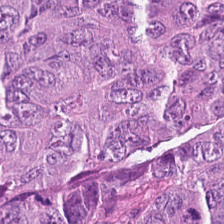Tissue: colorectal adenocarcinoma epithelium.
